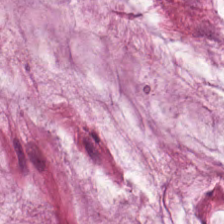H&E stain.
Tissue = mucin.
